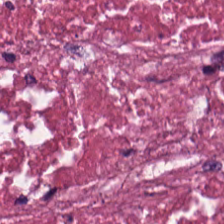H&E stain.
The tissue here is cellular debris.
